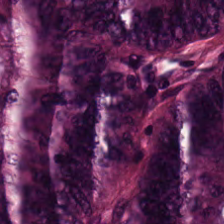H&E-stained tissue section — Q: What type of tissue is this?
A: It is colorectal adenocarcinoma.
